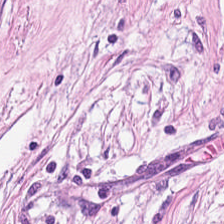Predominantly cancer-associated stroma.
